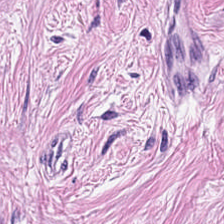Formalin-fixed paraffin-embedded section; H&E stain; whole-slide-image patch.
This field is tumor stroma.
